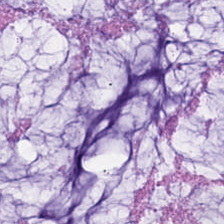0.5 µm per pixel. Hematoxylin-and-eosin stained section.
Q: What does this patch show?
A: It is mucus.
